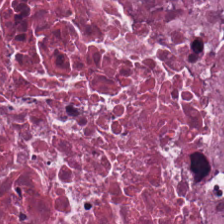Brightfield microscopy · hematoxylin-and-eosin stained section · 0.5 µm/px.
Finding → cellular debris.
